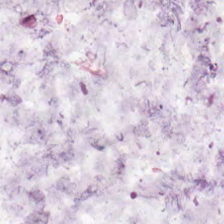H&E-stained tissue section; 224×224 pixel tile. The predominant tissue is mucin.
